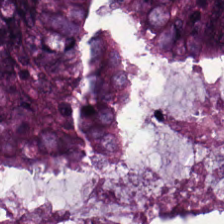Hematoxylin-and-eosin stained section.
Predominantly tumor epithelium.
